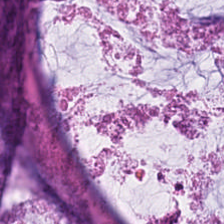H&E-stained tissue section. Mucus.
